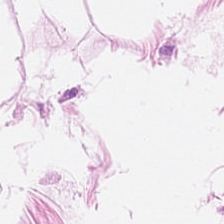Hematoxylin-and-eosin stained section. Q: What is shown in this field?
A: This is adipose.
